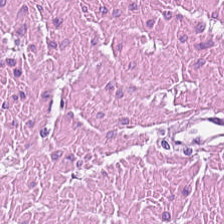The predominant tissue is muscularis.
